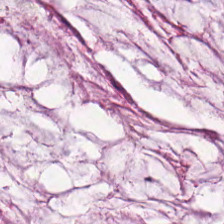Stain: H&E stain.
Tile size: 224×224 pixel tile.
Classification: extracellular mucin.
